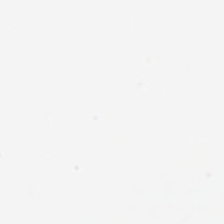Background — no tissue in this field.
